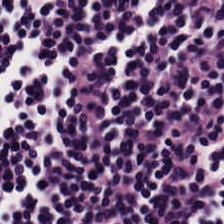H&E — Tissue type — lymphocytic infiltrate.
